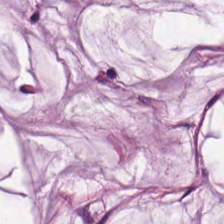The tissue class is mucus.
